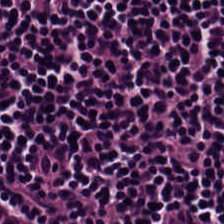Classification: lymphocyte aggregate.
